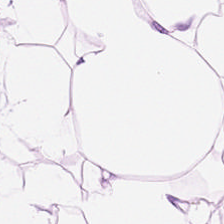Hematoxylin and eosin. FFPE.
Predominant tissue = fat tissue.
